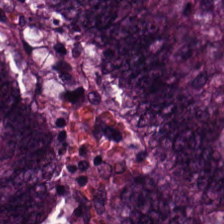H&E.
Colorectal adenocarcinoma epithelium.
